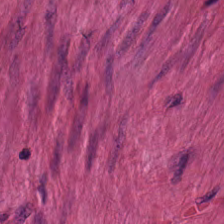H&E. Predominant tissue — smooth muscle.
